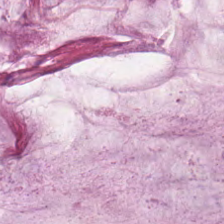Finding → mucus.
